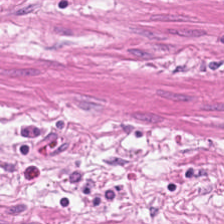H&E-stained tissue section; brightfield — Tissue type: smooth-muscle tissue.
